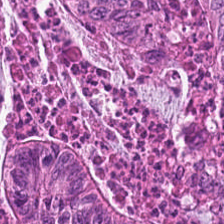Showing adenocarcinoma.
